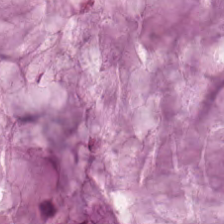Q: What does this patch show?
A: The field shows extracellular mucin.
